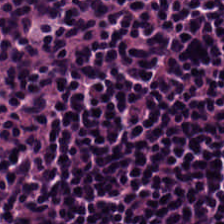Stain: H&E.
Tile size: 224×224 px tile.
Tissue class: lymphoid infiltrate.
